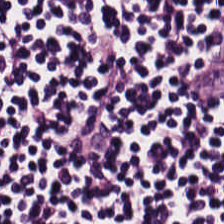Hematoxylin-and-eosin stained section. This field is lymphoid infiltrate.
